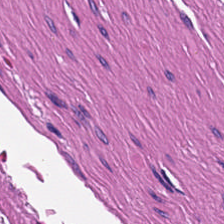224×224 px tile · hematoxylin and eosin — Q: What is shown here?
A: The field shows smooth-muscle tissue.
